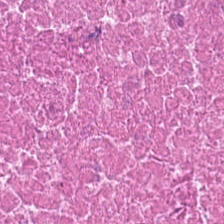Hematoxylin and eosin — Predominant tissue = necrotic debris.
